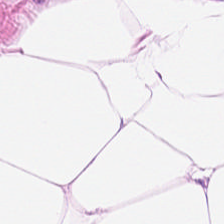Hematoxylin-and-eosin stained section.
Predominantly adipose.
